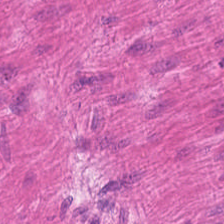H&E.
Showing muscularis.
